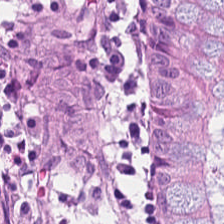Hematoxylin and eosin. {"tissue_type": "benign colonic mucosa"}
